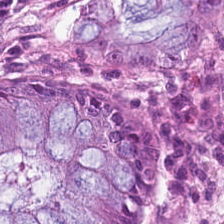WSI patch · H&E stain. Tissue type — benign colonic mucosa.
